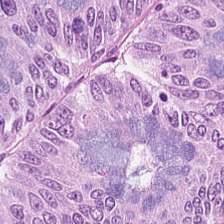H&E-stained tissue section.
The tissue here is malignant epithelium.
